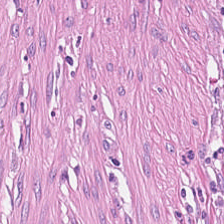H&E.
Q: What is the predominant tissue type?
A: The field shows tumor stroma.
